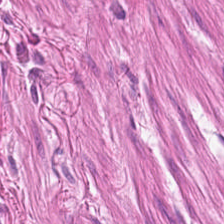The predominant tissue is smooth muscle.
